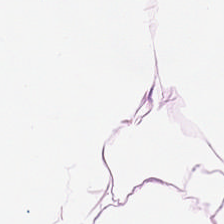Brightfield microscopy. Hematoxylin and eosin.
This patch shows adipocytes.
